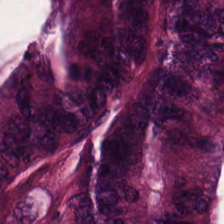H&E. Malignant epithelium.
